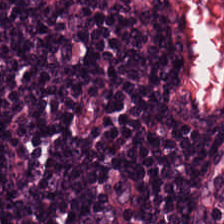H&E-stained tissue section. Predominantly lymphocytic infiltrate.
